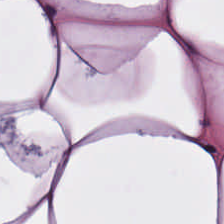H&E-stained tissue section — This patch shows adipose.
